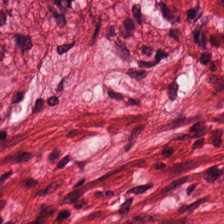H&E — This patch shows smooth-muscle tissue.
